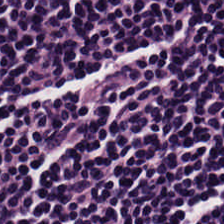Hematoxylin and eosin.
This patch shows lymphocyte aggregate.
